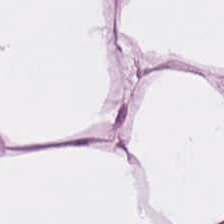Hematoxylin-and-eosin stained section. Q: What is shown in this field?
A: This is adipose.
